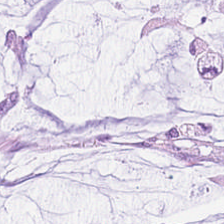Stain: H&E.
Tissue type: mucin.
